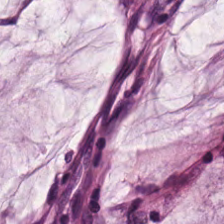224×224 px patch. H&E stain. Predominantly mucin.
